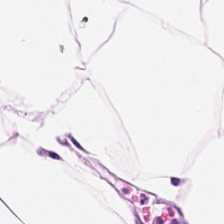H&E · 224×224 pixel tile · 0.5 µm per pixel — Impression → adipose tissue.
